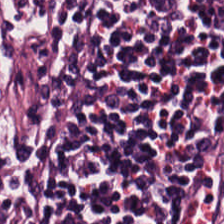Tissue class — lymphocytes.
